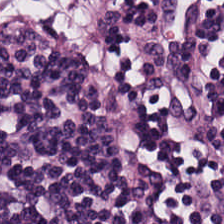WSI patch; hematoxylin and eosin. This patch shows lymphocyte aggregate.
